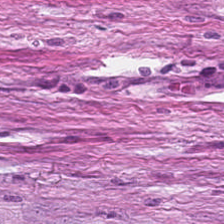Hematoxylin and eosin. The predominant tissue is tumor-associated stroma.
